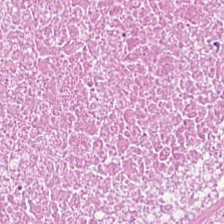Tissue: cellular debris.
